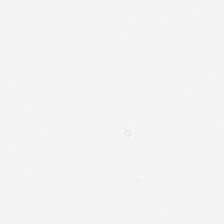224×224 px tile · H&E stain — Histology — no tissue.
